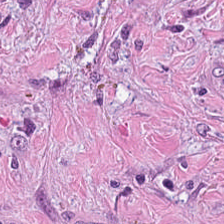H&E.
{"tissue_type": "tumor stroma"}
